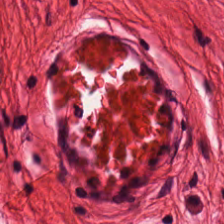WSI patch; H&E — Showing muscularis.
